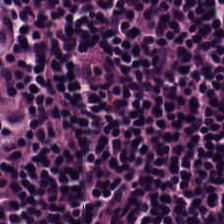H&E-stained tissue section; 224×224 pixel tile — Q: What is shown in this field?
A: This is lymphocytic infiltrate.
